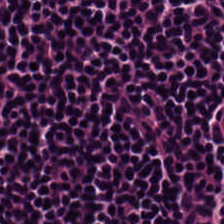Formalin-fixed paraffin-embedded section. Hematoxylin-and-eosin stained section — Impression — lymphocytes.
